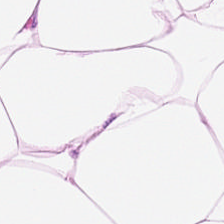Predominantly fat tissue.
